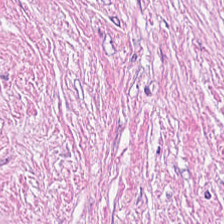Predominant tissue — tumor stroma.
